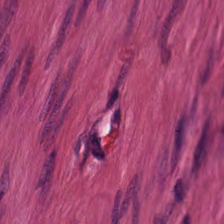H&E; 0.5 microns per pixel; 224×224 pixel tile.
Predominant tissue: smooth-muscle tissue.
